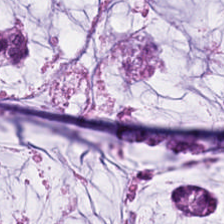H&E stain.
Q: What is the predominant tissue type?
A: It is extracellular mucin.
